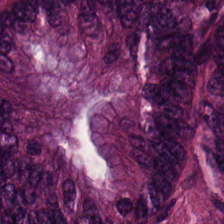Hematoxylin and eosin; brightfield microscopy; FFPE tissue section.
This patch shows malignant epithelium.
